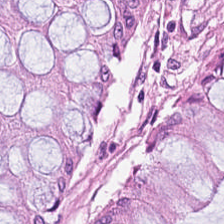Predominant tissue = normal colonic mucosa.
